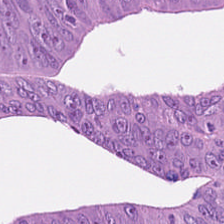This patch shows tumor epithelium.
